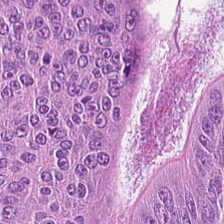The tissue here is colorectal adenocarcinoma epithelium.
